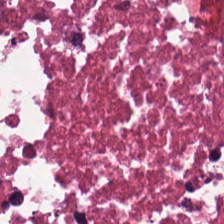Hematoxylin-and-eosin stained section.
Debris.
